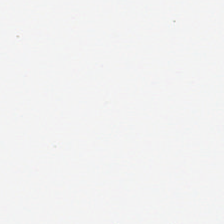Hematoxylin and eosin.
Classification: empty background.
